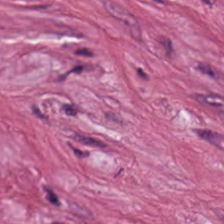Hematoxylin-and-eosin stained section. The tissue here is desmoplastic stroma.
